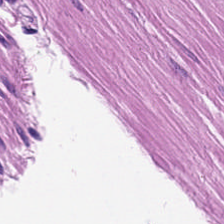Hematoxylin-and-eosin stained section; FFPE. Tissue class = muscularis.
